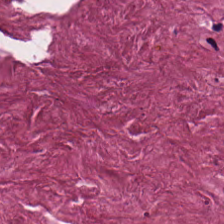Stain: hematoxylin-and-eosin stained section.
Tissue class: desmoplastic stroma.
